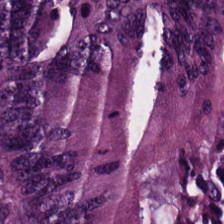H&E stain.
Showing tumor epithelium.
